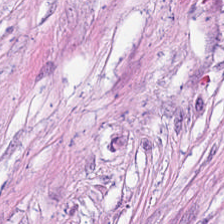Hematoxylin-and-eosin stained section.
{"tissue_type": "desmoplastic stroma"}
